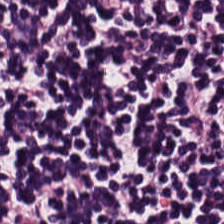H&E stain. Q: Classify this patch.
A: Lymphoid infiltrate.
